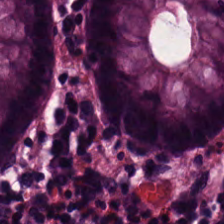H&E stain — This field is benign colonic mucosa.
